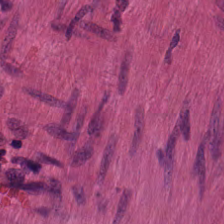The classification is smooth muscle.
